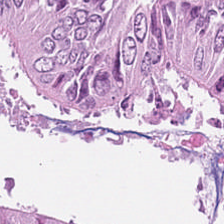{"tissue_type": "colorectal adenocarcinoma"}
